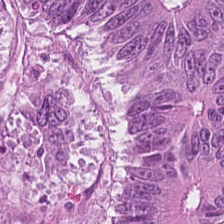This patch shows adenocarcinoma.
